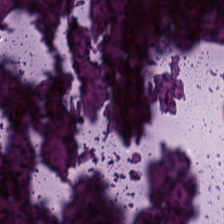{"tissue_type": "debris"}
